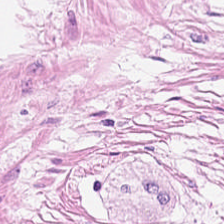H&E. Tissue class — smooth muscle.
